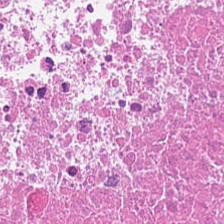FFPE tissue section. H&E-stained tissue section. Q: What type of tissue is this?
A: Debris.
